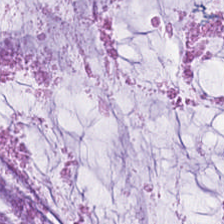H&E-stained tissue section. The predominant tissue is extracellular mucin.
